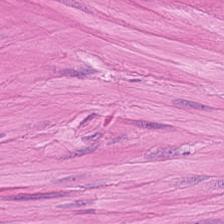H&E · 20× equivalent magnification. Q: What is shown here?
A: It is muscularis.
